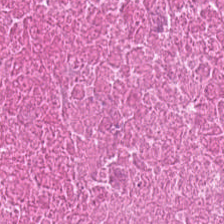0.5 µm/px; 224×224 pixel tile; hematoxylin and eosin — The predominant tissue is cellular debris.
